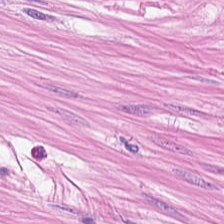Hematoxylin and eosin — Q: What tissue is shown?
A: It is smooth-muscle tissue.
